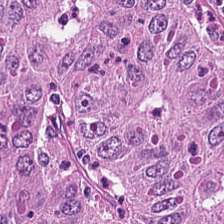FFPE tissue section; H&E stain. Q: Classify this patch.
A: The field shows colorectal adenocarcinoma.
